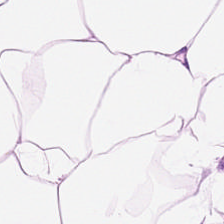H&E — Histology → adipose tissue.
